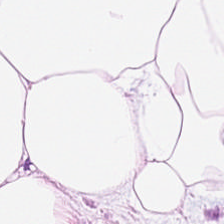H&E stain.
Q: What is shown here?
A: It is adipose tissue.
